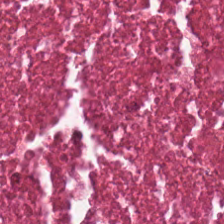224×224 pixel tile. Hematoxylin-and-eosin stained section.
Histology — cellular debris.
